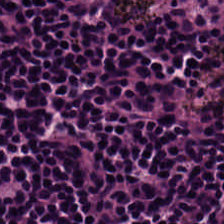Hematoxylin and eosin. Q: What is shown in this field?
A: It is lymphocyte aggregate.
